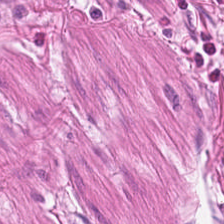H&E stain. Showing muscularis.
